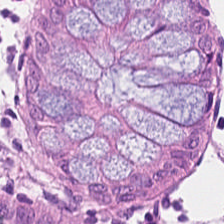FFPE; hematoxylin and eosin; 224×224 px tile. Impression → benign colonic mucosa.
